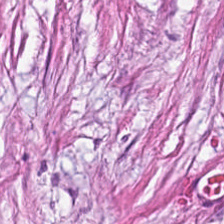Hematoxylin-and-eosin stained section. The tissue here is tumor stroma.
